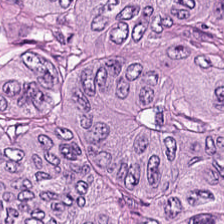Hematoxylin-and-eosin stained section — Predominant tissue: tumor epithelium.
